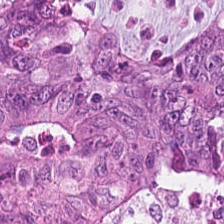Hematoxylin-and-eosin stained section.
Q: What tissue is shown?
A: Adenocarcinoma.
